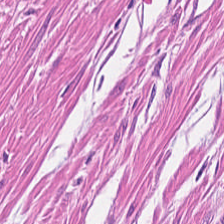Stain: H&E stain.
Classification: smooth muscle.
